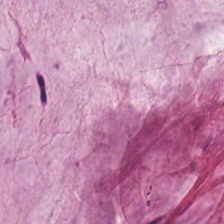H&E-stained tissue section — Showing extracellular mucin.
